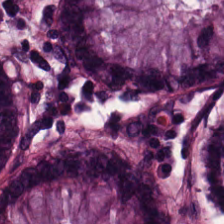WSI patch. Hematoxylin-and-eosin stained section. 224×224 px tile.
The predominant tissue is benign colonic mucosa.
